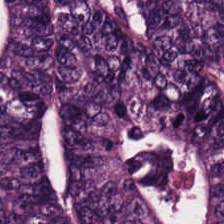FFPE · hematoxylin and eosin.
Predominantly colorectal adenocarcinoma epithelium.
